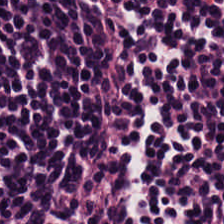The tissue here is lymphocytic infiltrate.
